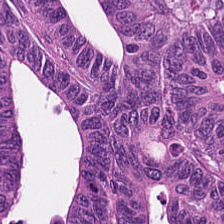Brightfield microscopy; H&E stain; 224×224 pixel tile.
The tissue here is colorectal adenocarcinoma epithelium.
